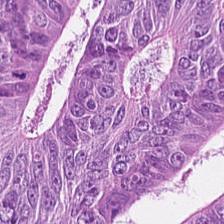Stain: H&E.
Tissue class: adenocarcinoma.
